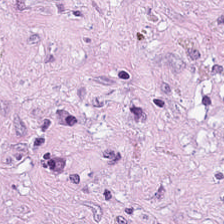Showing tumor-associated stroma.
